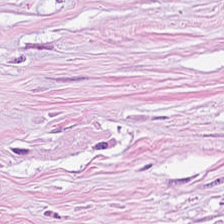Brightfield microscopy. FFPE tissue section. H&E-stained tissue section.
Histology → tumor stroma.
